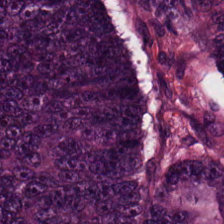Whole-slide-image patch. 224×224 px patch. H&E.
This patch shows colorectal adenocarcinoma.
